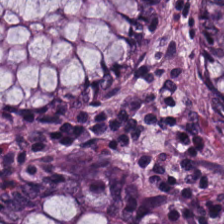Q: What type of tissue is this?
A: Benign colonic mucosa.
